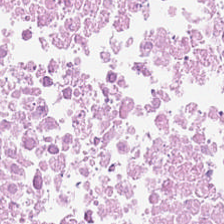H&E-stained section; the field shows debris.
